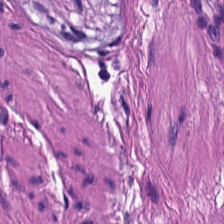Hematoxylin-and-eosin stained section.
Q: Identify the tissue.
A: The field shows smooth muscle.
